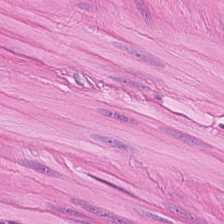H&E-stained tissue section — Q: What is shown here?
A: Muscularis.
